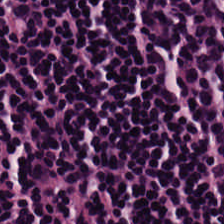Hematoxylin-and-eosin stained section.
Tissue type — lymphocytic infiltrate.
